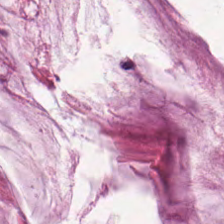Showing mucin.
